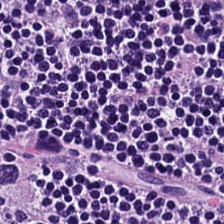Hematoxylin-and-eosin section: lymphocytic infiltrate.
